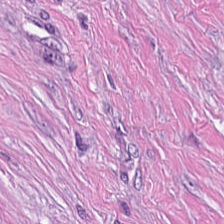Hematoxylin and eosin. 20× equivalent magnification.
The tissue here is tumor-associated stroma.
